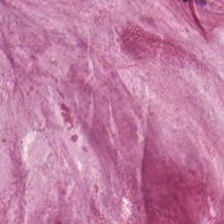Brightfield microscopy; hematoxylin and eosin.
Q: What does this patch show?
A: Mucus.
